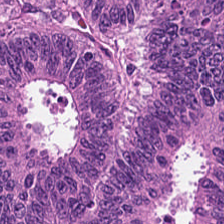Hematoxylin and eosin.
Predominant tissue — colorectal adenocarcinoma.
